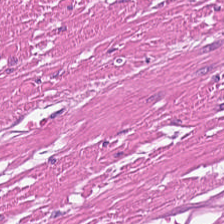Brightfield; H&E.
The tissue class is smooth muscle.
